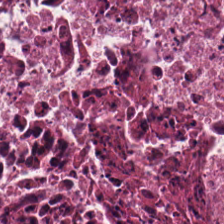0.5 microns per pixel · hematoxylin and eosin. Q: What does this patch show?
A: It is debris.
